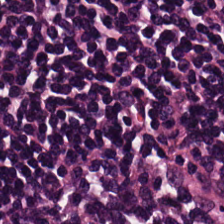Hematoxylin-and-eosin stained section · 0.5 µm per pixel. Q: What tissue is shown?
A: This is lymphocyte aggregate.
